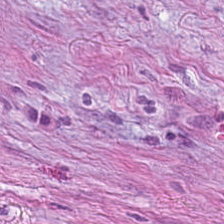H&E patch showing tumor stroma.
